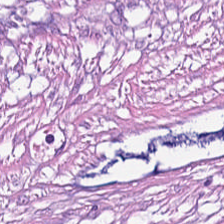H&E-stained tissue section. Predominantly tumor stroma.
